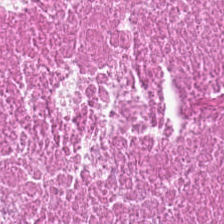H&E-stained tissue section. FFPE tissue section.
Q: What is shown here?
A: Cellular debris.
